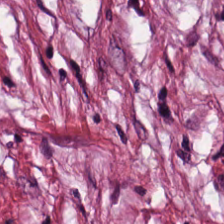0.5 microns per pixel · hematoxylin-and-eosin stained section — Predominant tissue — cancer-associated stroma.
